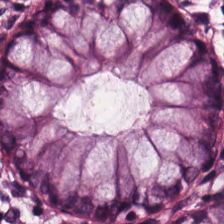H&E-stained tissue section; 0.5 µm/px — Tissue — normal colonic mucosa.
